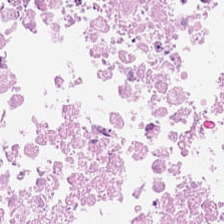H&E. 224×224 px patch. 20× equivalent magnification. Q: What is shown here?
A: This is debris.
